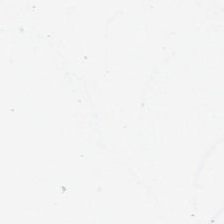No tissue present; background only.
